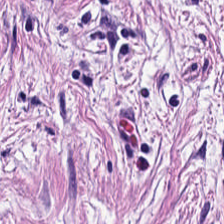224×224 pixel tile · whole-slide-image patch · hematoxylin and eosin. The predominant tissue is cancer-associated stroma.
